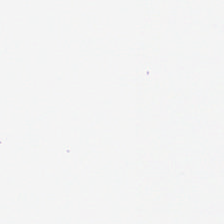Formalin-fixed paraffin-embedded section; H&E-stained tissue section; 224×224 px patch — Q: What is shown here?
A: This is empty background.
